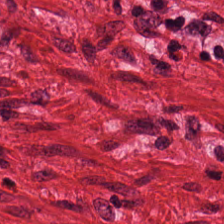20× equivalent magnification; H&E — Impression — muscularis.
